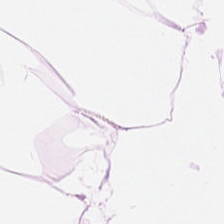Hematoxylin and eosin. The classification is adipose.
